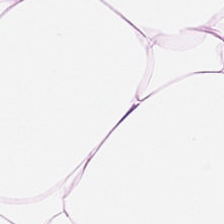Whole-slide-image patch · hematoxylin and eosin — Tissue type: adipose.
